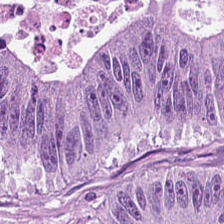Hematoxylin-and-eosin stained section. 224×224 px patch — Showing colorectal adenocarcinoma epithelium.
